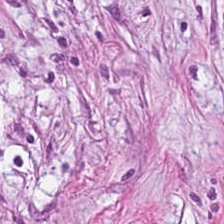H&E patch showing cancer-associated stroma.
